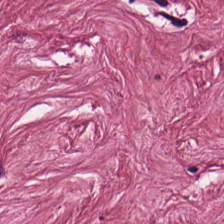Hematoxylin-and-eosin stained section. {"tissue_type": "tumor stroma"}
